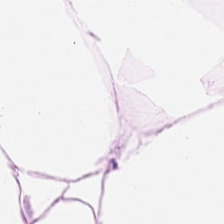Hematoxylin-and-eosin stained section · formalin-fixed paraffin-embedded section.
Predominant tissue = adipocytes.
